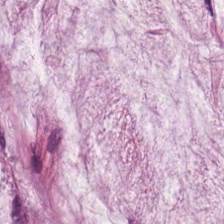Classification — mucin.
